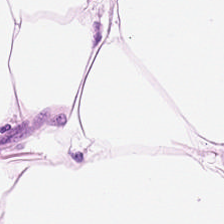Hematoxylin-and-eosin stained section · 224×224 px patch — This patch shows fat tissue.
